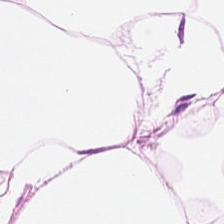20× equivalent magnification. H&E-stained tissue section.
Tissue type: adipocytes.
